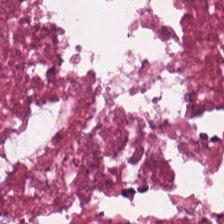224×224 pixel tile · H&E stain. The predominant tissue is cellular debris.
